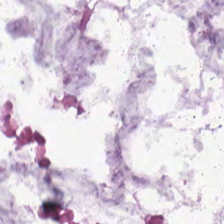Hematoxylin-and-eosin stained section; WSI patch — The tissue here is mucus.
